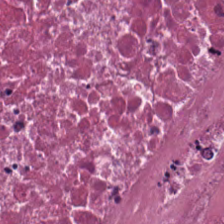H&E-stained tissue section — Q: What does this patch show?
A: This is debris.
